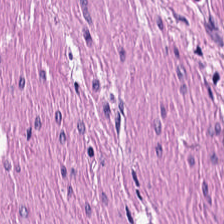Whole-slide-image patch · FFPE tissue section · H&E stain.
Q: What is the predominant tissue type?
A: It is smooth-muscle tissue.
